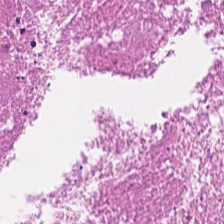Hematoxylin and eosin. Tissue class — cellular debris.
